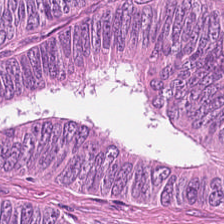Hematoxylin and eosin. Impression — malignant epithelium.
